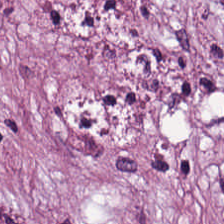224×224 pixel tile. H&E stain. 0.5 µm/px — Q: What is shown here?
A: It is tumor stroma.
